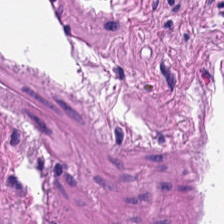H&E-stained tissue section; 20× equivalent magnification; FFPE.
The tissue type is muscularis.
